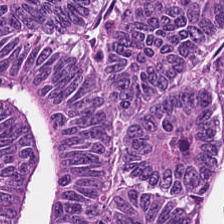Stain: H&E-stained tissue section.
Acquisition: brightfield microscopy.
Predominant tissue: tumor epithelium.
